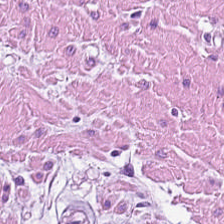Stain: H&E-stained tissue section.
Tissue class: smooth-muscle tissue.
